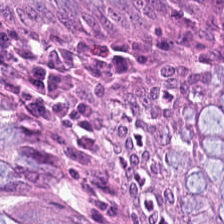Q: What tissue is shown?
A: It is normal colon mucosa.
